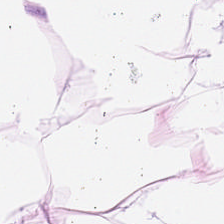Hematoxylin and eosin. FFPE tissue section — Showing adipose tissue.
